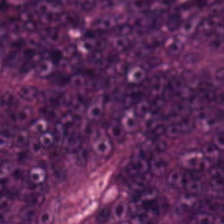Hematoxylin-and-eosin stained section. The predominant tissue is adenocarcinoma.
